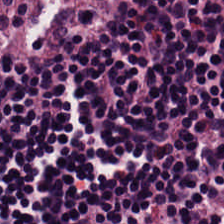0.5 µm per pixel. Hematoxylin-and-eosin stained section — Q: What is the predominant tissue type?
A: This is lymphocyte aggregate.
